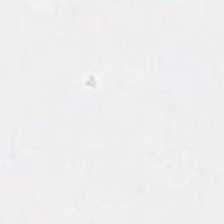Hematoxylin-and-eosin stained section. Content — background (no tissue).
